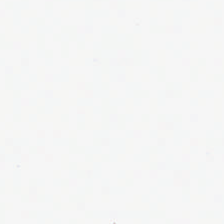FFPE · H&E-stained tissue section. {"content": "no tissue"}
